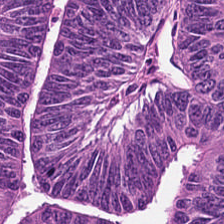H&E patch showing colorectal adenocarcinoma.
